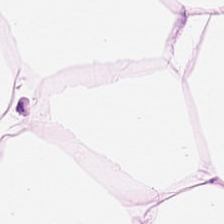Hematoxylin-and-eosin stained section.
Adipose tissue.
